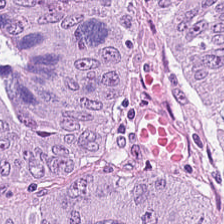Q: What is shown in this field?
A: This is tumor epithelium.
